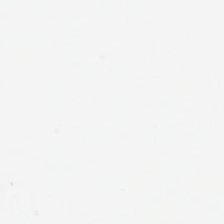H&E stain. 224×224 px patch.
The classification is no tissue.
